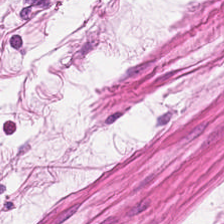Tissue type — smooth-muscle tissue.
